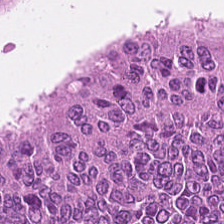H&E patch showing tumor epithelium.
